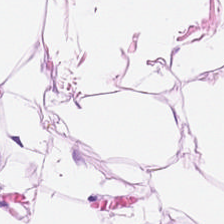Hematoxylin and eosin · brightfield · 0.5 µm per pixel — Histology — adipose tissue.
